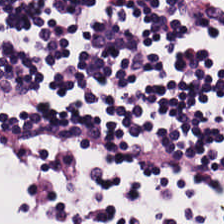H&E — This field is lymphoid infiltrate.
